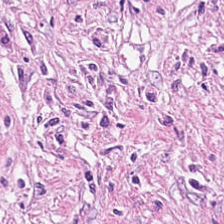H&E-stained section; the field shows cancer-associated stroma.
